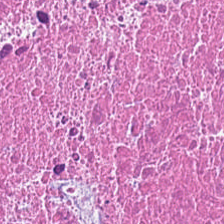FFPE; H&E stain.
Predominant tissue — cellular debris.
